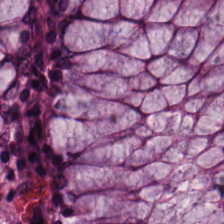H&E stain.
The tissue is benign colonic mucosa.
